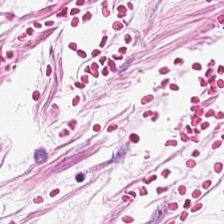Predominant tissue = fat tissue.
